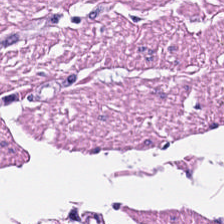H&E stain. Q: Classify this patch.
A: Smooth-muscle tissue.
